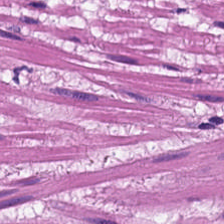Impression → smooth muscle.
